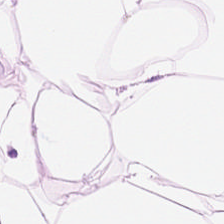Stain: H&E.
Acquisition: WSI patch.
Preparation: formalin-fixed paraffin-embedded section.
Classification: adipose.
